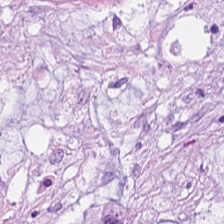Hematoxylin-and-eosin stained section. 0.5 microns per pixel. Formalin-fixed paraffin-embedded section. This patch shows mucus.
